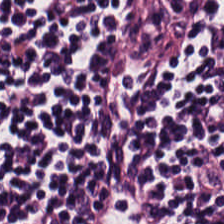Impression — lymphocytes.
